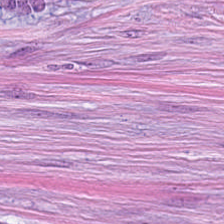H&E — The tissue here is tumor stroma.
